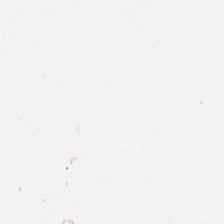H&E-stained tissue section. Empty field — no tissue.
